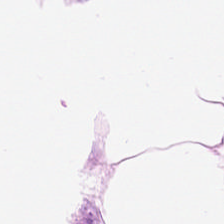224×224 pixel tile; brightfield; H&E-stained tissue section — Tissue type: adipose tissue.
